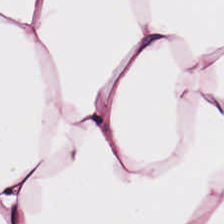Formalin-fixed paraffin-embedded section · 224×224 px tile · hematoxylin-and-eosin stained section. This field is adipose.
